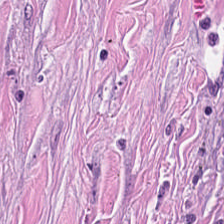Whole-slide-image patch. Hematoxylin-and-eosin stained section. Showing cancer-associated stroma.
